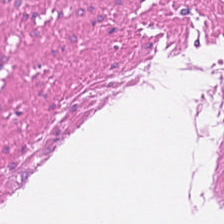Formalin-fixed paraffin-embedded section; hematoxylin-and-eosin stained section — Tissue type — muscularis.
